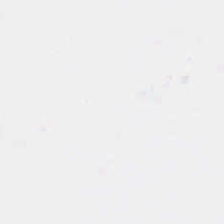Brightfield microscopy; H&E — Q: What does this patch show?
A: This is empty background.
